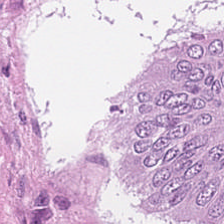Tissue class = colorectal adenocarcinoma.
